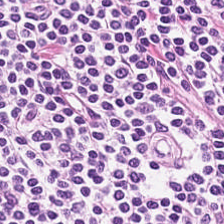Hematoxylin-and-eosin section: lymphocyte aggregate.
